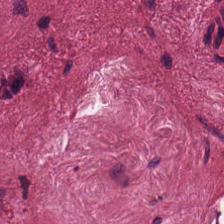H&E. Q: Classify this patch.
A: This is tumor stroma.
